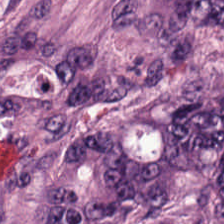FFPE tissue section; H&E-stained tissue section — Histology → adenocarcinoma.
